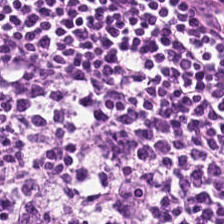H&E-stained section; the field shows lymphocyte aggregate.
